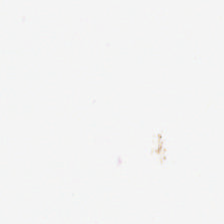H&E-stained tissue section.
{"content": "background"}
